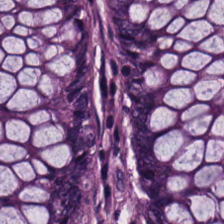20× equivalent magnification · hematoxylin and eosin · brightfield — This patch shows non-neoplastic colon mucosa.
